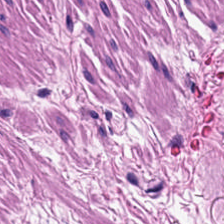H&E; 224×224 pixel tile.
Histology → smooth-muscle tissue.
